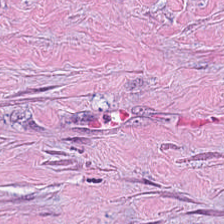{"tissue_type": "tumor-associated stroma"}
